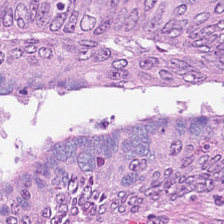Q: What is shown here?
A: The field shows colorectal adenocarcinoma.
